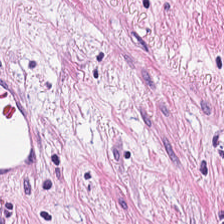H&E.
Tumor-associated stroma.
